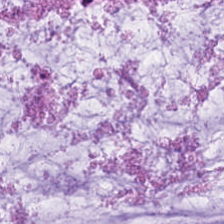H&E-stained section; the field shows mucin.
